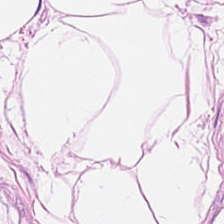Hematoxylin-and-eosin stained section. 224×224 px patch.
The predominant tissue is adipose.
